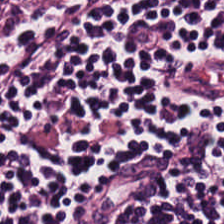Finding — lymphocytic infiltrate.
